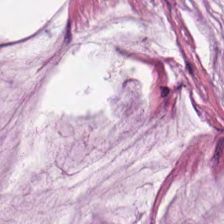H&E.
Impression → mucin.
